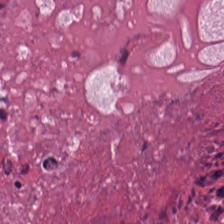Hematoxylin-and-eosin stained section · FFPE. Finding → necrotic debris.
